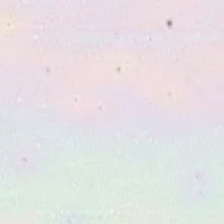Empty field — empty background.
